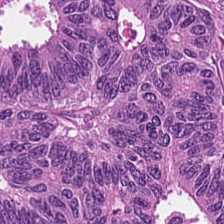H&E-stained tissue section — Classification — tumor epithelium.
